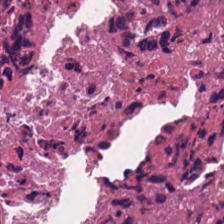Predominant tissue: cellular debris.
